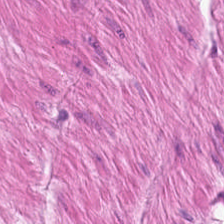Q: What is shown in this field?
A: The field shows smooth muscle.
